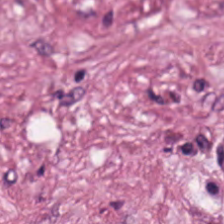H&E.
Predominantly tumor-associated stroma.
